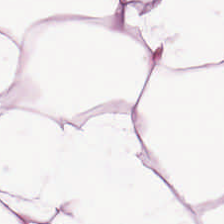Hematoxylin-and-eosin stained section. Predominantly fat tissue.
